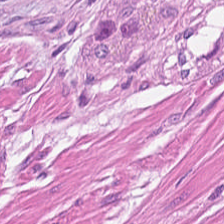H&E-stained tissue section. 224×224 px tile — Showing smooth-muscle tissue.
